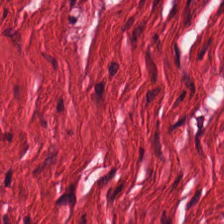H&E patch showing smooth-muscle tissue.
